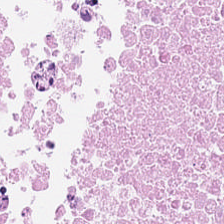H&E.
The tissue here is necrotic debris.
